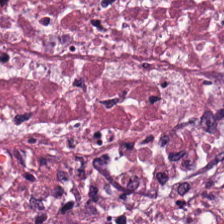Hematoxylin and eosin; 224×224 pixel tile.
Q: What tissue is shown?
A: It is cellular debris.
